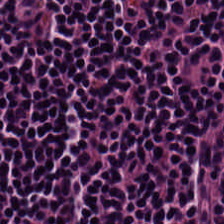H&E-stained tissue section. Tissue type: lymphocytes.
